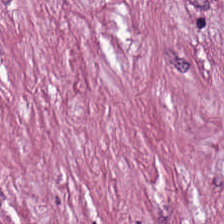WSI patch · hematoxylin-and-eosin stained section. Finding — desmoplastic stroma.
